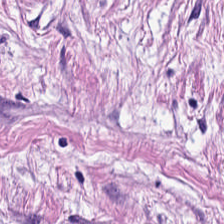The tissue here is tumor-associated stroma.
